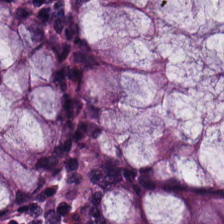Brightfield. 0.5 µm per pixel. Hematoxylin and eosin. Tissue = benign colonic mucosa.
